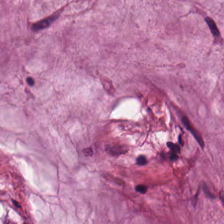20× equivalent magnification; hematoxylin-and-eosin stained section.
Q: What tissue type is shown here?
A: It is extracellular mucin.
